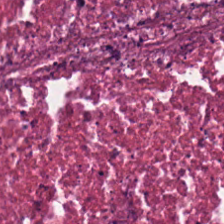H&E — Tissue type: cellular debris.
